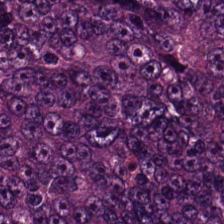H&E. Predominantly tumor epithelium.
